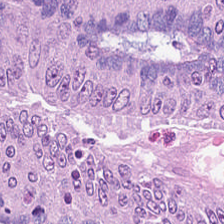Hematoxylin and eosin — Finding — adenocarcinoma.
